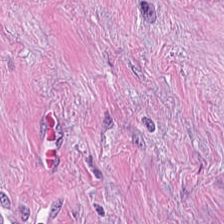Q: What tissue type is shown here?
A: The field shows desmoplastic stroma.
